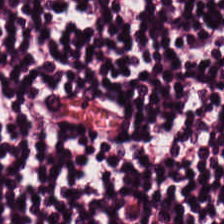Showing lymphocyte aggregate.
